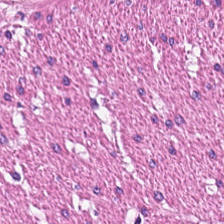Stain: hematoxylin and eosin.
Classification: muscularis.
